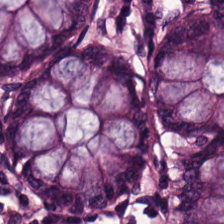H&E stain; 0.5 µm/px — This patch shows non-neoplastic colon mucosa.
